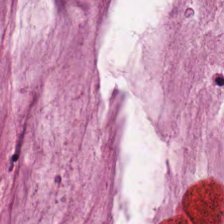FFPE tissue section; H&E stain. Tissue class = mucin.
